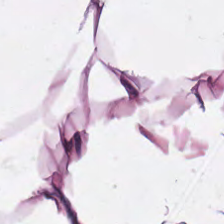Hematoxylin-and-eosin stained section.
The tissue class is adipose tissue.
